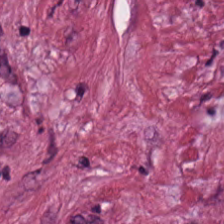H&E — Predominantly desmoplastic stroma.
